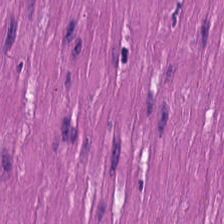H&E-stained tissue section · WSI patch.
This field is muscularis.
